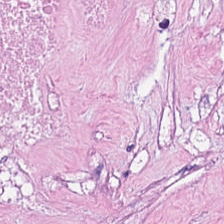H&E stain. FFPE. Q: Classify this patch.
A: It is necrotic debris.
